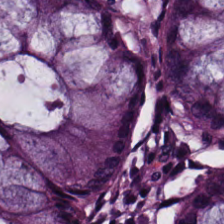Q: Classify this patch.
A: The field shows normal colon mucosa.
